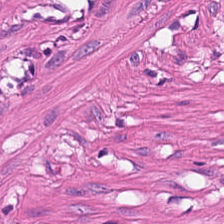Predominantly smooth muscle.
